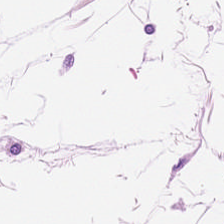Histology → adipocytes.
